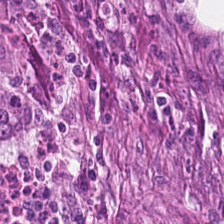Q: What does this patch show?
A: It is tumor epithelium.
